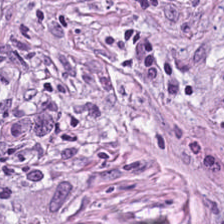Formalin-fixed paraffin-embedded section. 224×224 px patch. H&E stain — Showing tumor-associated stroma.
